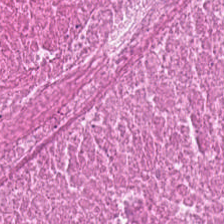H&E stain; 20× equivalent magnification; 224×224 px tile.
Q: What tissue is shown?
A: The field shows necrotic debris.
